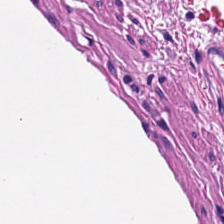Q: What is shown in this field?
A: Smooth muscle.
